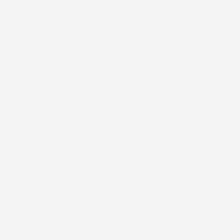H&E stain.
The classification is empty background.
